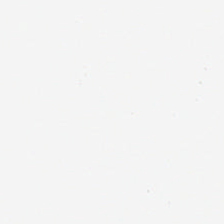Background — no tissue in this field.
